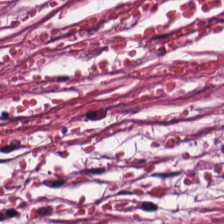Stain: H&E.
Acquisition: brightfield microscopy.
Tile size: 224×224 px tile.
Classification: tumor-associated stroma.
